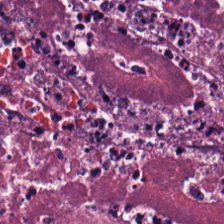This patch shows debris.
